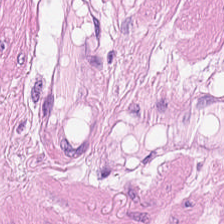Stain: H&E stain.
Predominant tissue: muscularis.
